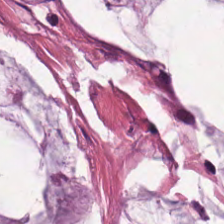Finding — mucus.
